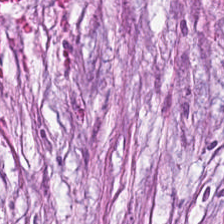Hematoxylin-and-eosin stained section; 0.5 µm per pixel. Classification — cancer-associated stroma.
